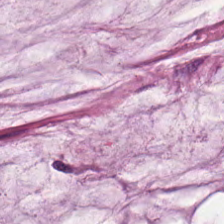H&E — extracellular mucin.
